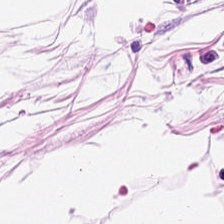Impression — fat tissue.
